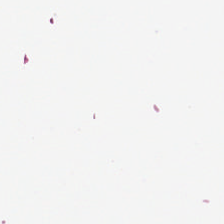Impression — empty background.
